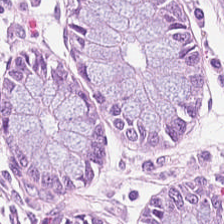The tissue here is normal colonic mucosa.
